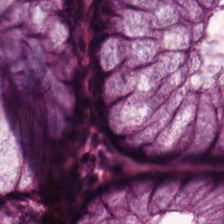Q: What does this patch show?
A: The field shows normal colonic mucosa.
